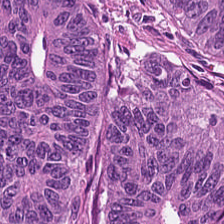{"tissue_type": "malignant epithelium"}
